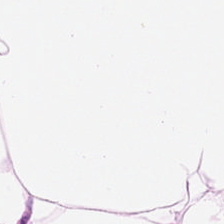Brightfield microscopy. Hematoxylin and eosin. FFPE tissue section — Predominant tissue = adipose tissue.
